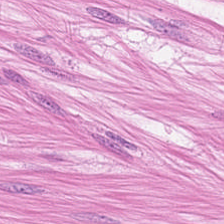Showing muscularis.
